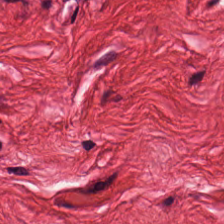Stain: H&E stain.
Tile size: 224×224 pixel tile.
Classification: smooth muscle.
